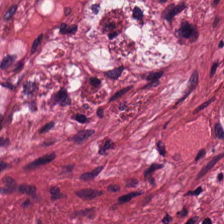H&E-stained tissue section · WSI patch. Finding → tumor-associated stroma.
